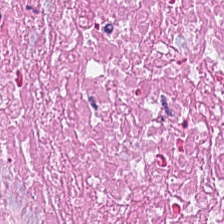Hematoxylin and eosin. Q: Identify the tissue.
A: Debris.
